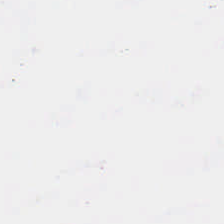H&E stain · formalin-fixed paraffin-embedded section · 0.5 microns per pixel.
Finding — background.
